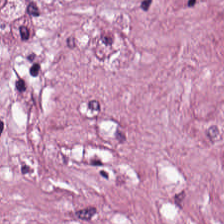Q: What tissue is shown?
A: This is tumor-associated stroma.
